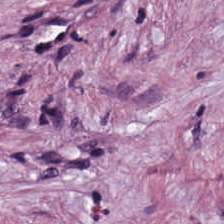Q: What type of tissue is this?
A: This is desmoplastic stroma.
